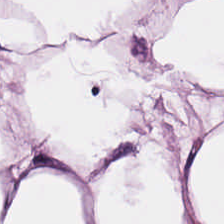Finding — adipose tissue.
